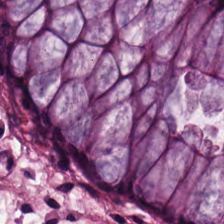Hematoxylin-and-eosin stained section. Whole-slide-image patch. Tissue type — non-neoplastic colon mucosa.
